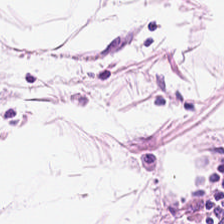The tissue is adipose.
